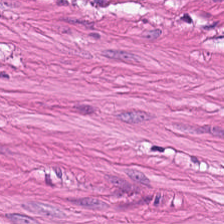FFPE. H&E.
This field is smooth muscle.
